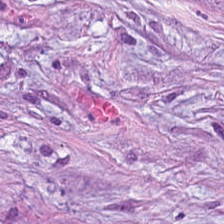Stain: H&E-stained tissue section.
Predominant tissue: desmoplastic stroma.
